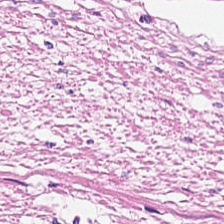Stain: H&E-stained tissue section.
Tile size: 224×224 pixel tile.
Predominant tissue: smooth muscle.
